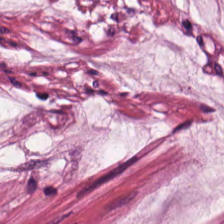Hematoxylin and eosin. FFPE tissue section. WSI patch.
Q: What is shown here?
A: This is mucin.
